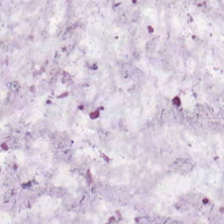Q: What is the predominant tissue type?
A: The field shows extracellular mucin.
